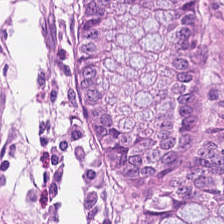Hematoxylin-and-eosin stained section. Brightfield — Q: Identify the tissue.
A: It is benign colonic mucosa.
